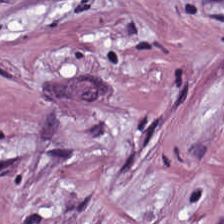H&E — tumor stroma.
